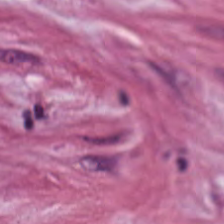Q: What tissue type is shown here?
A: It is cancer-associated stroma.
